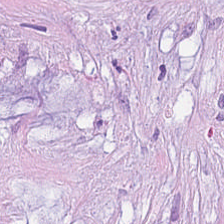Stain: H&E stain.
Tissue class: extracellular mucin.
